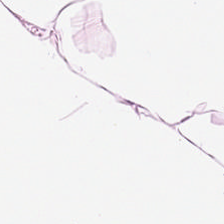Stain: H&E.
Classification: adipocytes.
